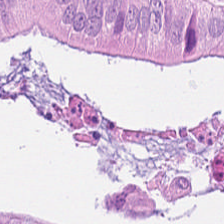Hematoxylin-and-eosin stained section. Impression → adenocarcinoma.
